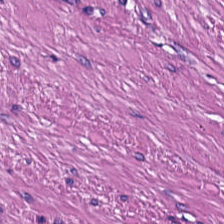H&E stain; WSI patch.
This patch shows muscularis.
